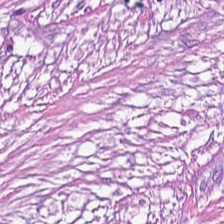Hematoxylin and eosin. Q: What is shown in this field?
A: This is tumor-associated stroma.
